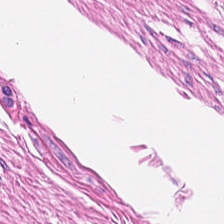Whole-slide-image patch. H&E stain. Formalin-fixed paraffin-embedded section. Tissue type = muscularis.
